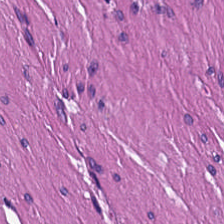Whole-slide-image patch; H&E — Showing muscularis.
